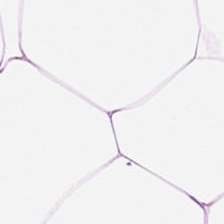H&E-stained tissue section — The tissue type is adipocytes.
